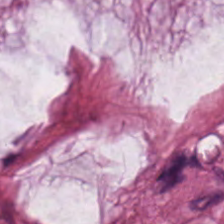The classification is extracellular mucin.
